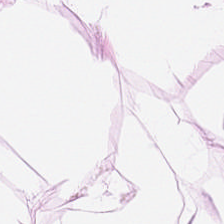Hematoxylin-and-eosin stained section. Showing adipose tissue.
